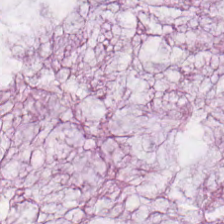This patch shows mucin.
